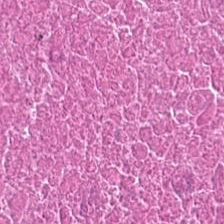Hematoxylin and eosin. This field is necrotic debris.
